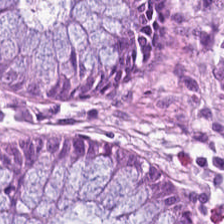FFPE tissue section; WSI patch; hematoxylin and eosin. Tissue class: normal colon mucosa.
